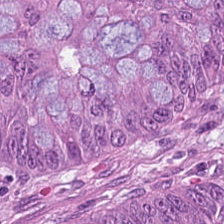Hematoxylin and eosin · brightfield microscopy. Q: Classify this patch.
A: The field shows colorectal adenocarcinoma epithelium.
